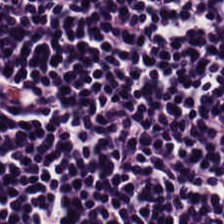Hematoxylin and eosin. The tissue class is lymphocytes.
